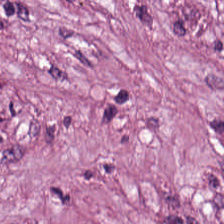Hematoxylin and eosin. WSI patch — Showing tumor stroma.
